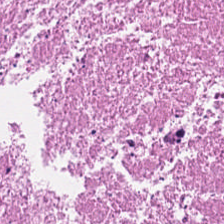The predominant tissue is cellular debris.
